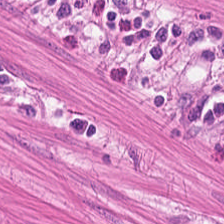H&E. Showing smooth-muscle tissue.
